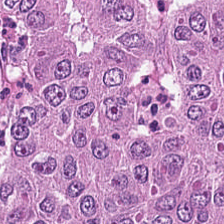H&E.
Impression → tumor epithelium.
